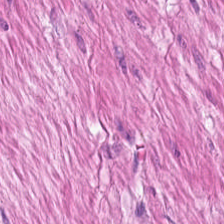224×224 px tile; H&E-stained tissue section.
The tissue here is muscularis.
